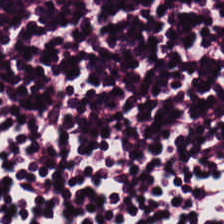Q: Identify the tissue.
A: Lymphocytic infiltrate.
